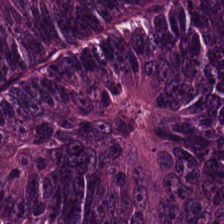Stain: H&E stain.
Tile size: 224×224 px patch.
Preparation: formalin-fixed paraffin-embedded section.
Predominant tissue: colorectal adenocarcinoma epithelium.
